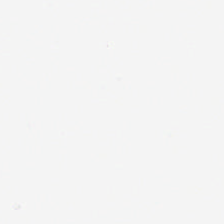H&E stain. Formalin-fixed paraffin-embedded section. 0.5 µm/px — The field content is background (no tissue).
